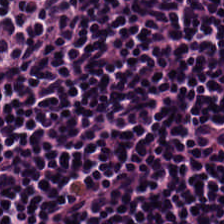H&E. This field is lymphocytes.
